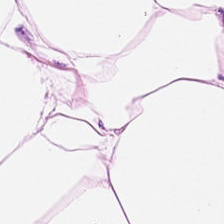H&E stain. Q: What is shown in this field?
A: This is adipocytes.
